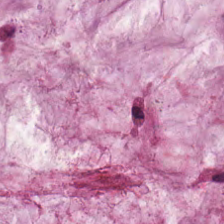H&E-stained tissue section — Tissue type = extracellular mucin.
